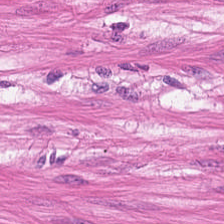Hematoxylin and eosin. {"tissue_type": "muscularis"}
